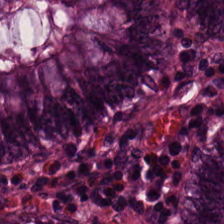Hematoxylin and eosin. Q: What is the predominant tissue type?
A: This is normal colonic mucosa.
